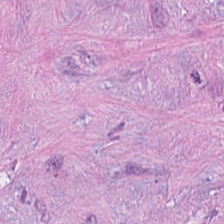Hematoxylin and eosin — Tissue type = tumor stroma.
